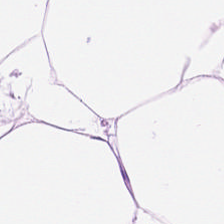The classification is adipocytes.
